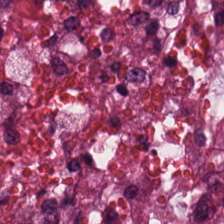0.5 µm per pixel. FFPE. Hematoxylin and eosin.
Histology → debris.
